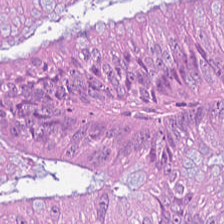H&E stain — Q: What does this patch show?
A: It is malignant epithelium.
